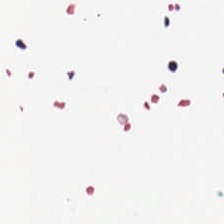0.5 microns per pixel. 224×224 px patch. Hematoxylin-and-eosin stained section. Q: What does this patch show?
A: Background (no tissue).
